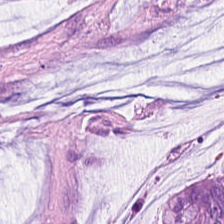H&E. Histology — mucus.
